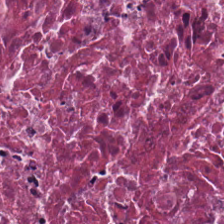Tissue class — debris.
